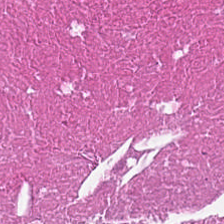This field is debris.
